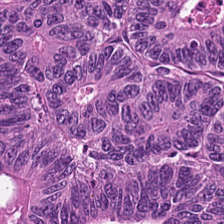Hematoxylin and eosin. The tissue here is colorectal adenocarcinoma.
